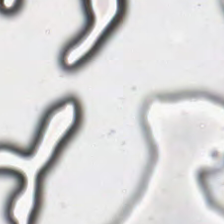Stain: hematoxylin and eosin.
Field content: background.
